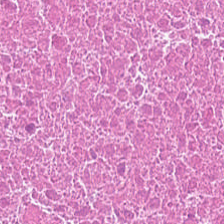{"tissue_type": "cellular debris"}
